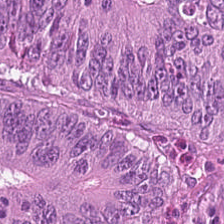Tissue class = tumor epithelium.
